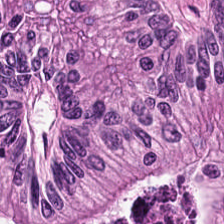Stain: hematoxylin and eosin.
Tissue type: adenocarcinoma.
